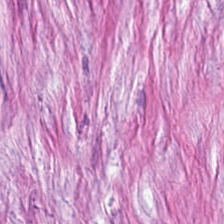H&E stain. Tissue class — cancer-associated stroma.
